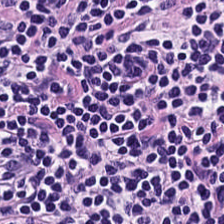H&E-stained tissue section.
Q: What does this patch show?
A: Lymphocyte aggregate.
